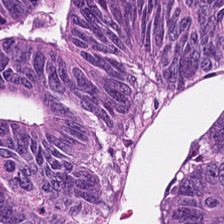224×224 px tile; hematoxylin-and-eosin stained section — The predominant tissue is colorectal adenocarcinoma epithelium.
